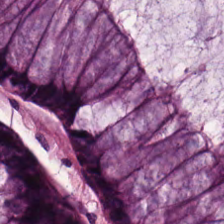The tissue type is benign colonic mucosa.
